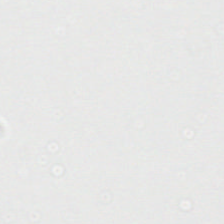H&E — No tissue present; background only.
